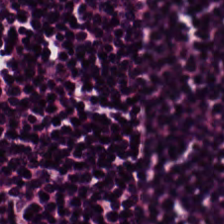H&E. Q: What is shown here?
A: The field shows lymphocytes.
